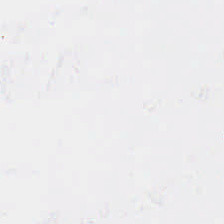Background — no tissue in this field.
